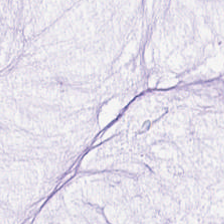Formalin-fixed paraffin-embedded section; H&E-stained tissue section — The classification is extracellular mucin.
